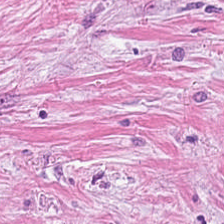H&E.
Classification — cancer-associated stroma.
